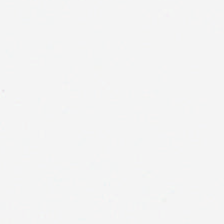Background — no tissue in this field.
